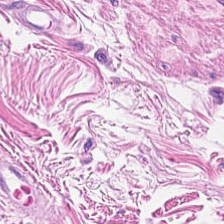H&E-stained section; the field shows smooth muscle.
